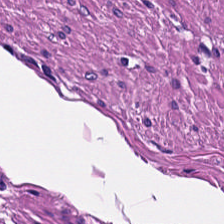H&E-stained section; the field shows smooth muscle.
